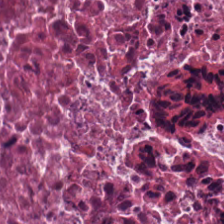Q: What is shown in this field?
A: The field shows debris.
